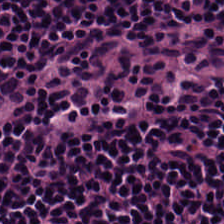H&E stain.
Finding — lymphocyte aggregate.
